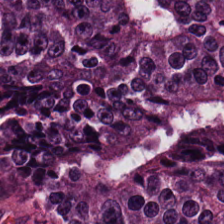H&E — The classification is malignant epithelium.
